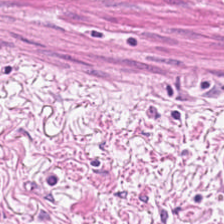Stain: hematoxylin and eosin.
Tissue class: smooth-muscle tissue.
